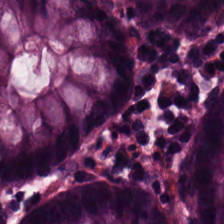H&E — The predominant tissue is benign colonic mucosa.
